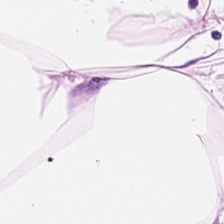FFPE tissue section. H&E-stained tissue section. Brightfield. Tissue class = adipose tissue.
